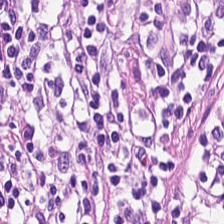Hematoxylin-and-eosin stained section — The tissue here is lymphocyte aggregate.
